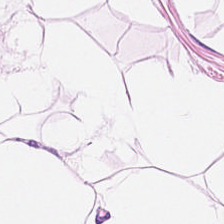H&E stain. WSI patch — Fat tissue.
